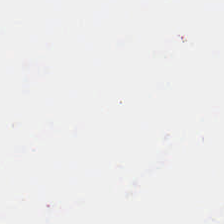Classification = no tissue.
